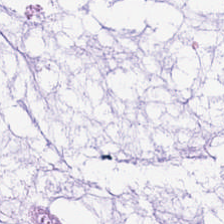Tissue = extracellular mucin.
